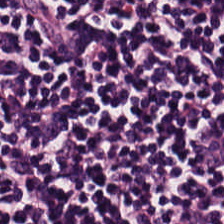Hematoxylin and eosin — Impression → lymphocyte aggregate.
